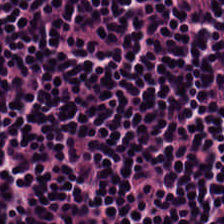0.5 µm/px · WSI patch · hematoxylin-and-eosin stained section. The predominant tissue is lymphocytes.
